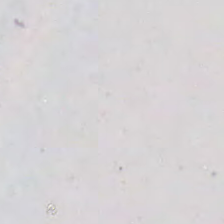H&E-stained tissue section. This patch shows background.
